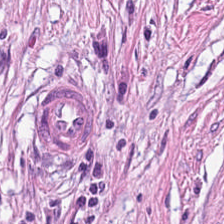H&E patch showing cancer-associated stroma.
